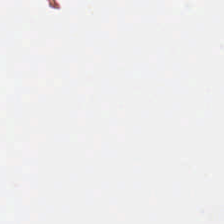FFPE tissue section · 20× equivalent magnification · H&E — Background — no tissue in this field.
